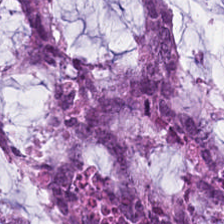Histology — mucin.
